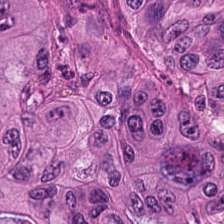H&E-stained tissue section.
Malignant epithelium.
